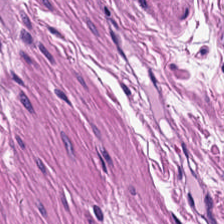Stain: H&E stain.
Tissue: muscularis.
